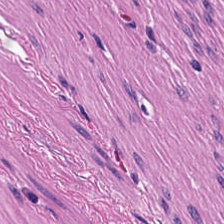H&E stain — Classification: smooth-muscle tissue.
